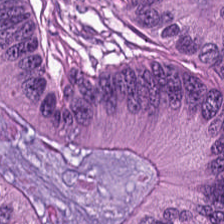H&E-stained tissue section. 224×224 px tile. Brightfield microscopy — The predominant tissue is adenocarcinoma.
